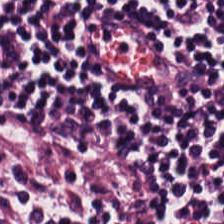Hematoxylin-and-eosin stained section. Lymphocyte aggregate.
